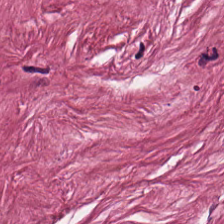H&E stain.
The tissue class is desmoplastic stroma.
